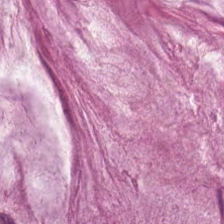Hematoxylin-and-eosin section: mucus.
